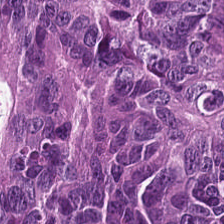H&E stain.
The predominant tissue is tumor epithelium.
